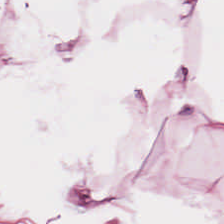Tissue class: adipocytes.
